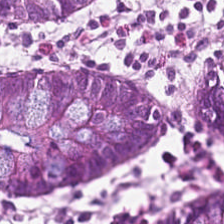FFPE · H&E · 224×224 px patch. Q: What is shown in this field?
A: The field shows benign colonic mucosa.
